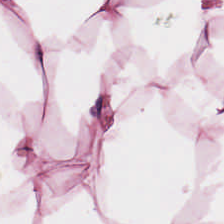0.5 µm/px; hematoxylin and eosin.
Predominantly fat tissue.
